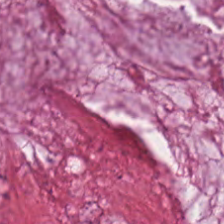The predominant tissue is mucin.
